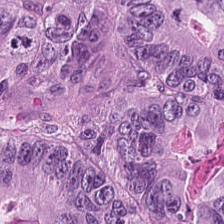Stain: H&E-stained tissue section.
Tissue type: malignant epithelium.
